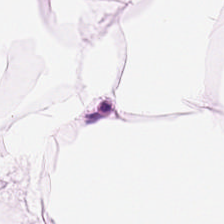H&E stain.
The predominant tissue is adipose.
